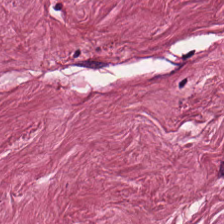H&E stain. Predominant tissue: tumor stroma.
